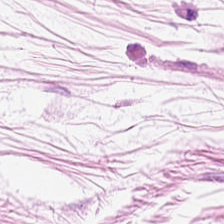0.5 µm per pixel · H&E · whole-slide-image patch.
This field is adipose tissue.
